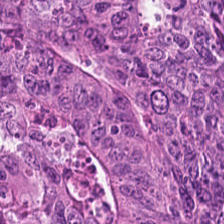Hematoxylin and eosin. Tissue = colorectal adenocarcinoma.
